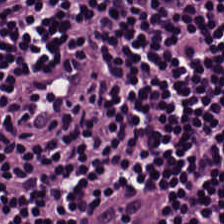Hematoxylin-and-eosin stained section — {"tissue_type": "lymphocytic infiltrate"}
